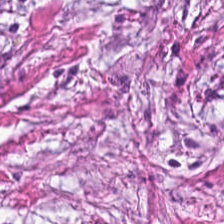Hematoxylin and eosin. This patch shows desmoplastic stroma.
